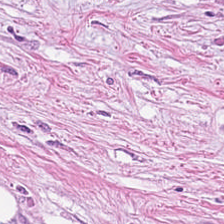Stain: H&E stain.
Tissue class: tumor stroma.
